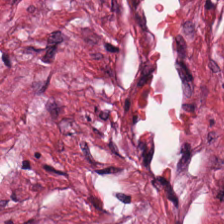Tissue: tumor stroma.
